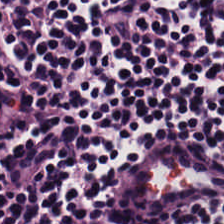Hematoxylin-and-eosin stained section.
This patch shows lymphocytic infiltrate.
